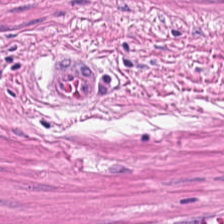Q: What is shown here?
A: This is smooth-muscle tissue.
